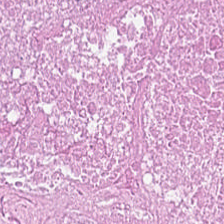H&E-stained tissue section.
Q: What tissue is shown?
A: Necrotic debris.
